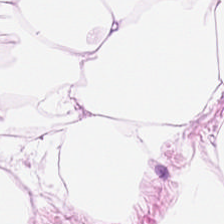Stain: H&E.
Predominant tissue: adipose.
